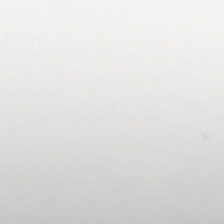Brightfield microscopy; hematoxylin and eosin; FFPE tissue section.
The content is background.
